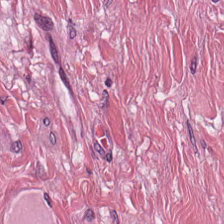Hematoxylin-and-eosin stained section. Brightfield.
The predominant tissue is tumor-associated stroma.
